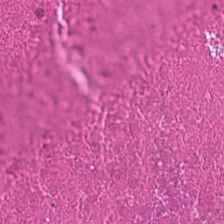Hematoxylin-and-eosin stained section · FFPE tissue section — Tissue type = debris.
